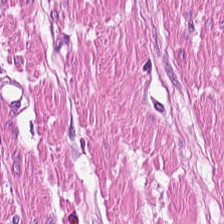H&E stain. 0.5 µm/px. Brightfield microscopy.
Tissue: smooth muscle.
